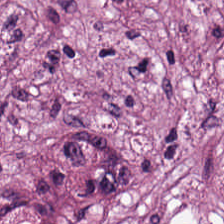224×224 pixel tile · H&E-stained tissue section.
Q: What is shown here?
A: Tumor stroma.
